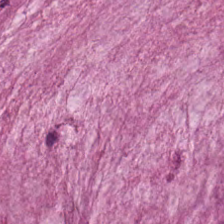224×224 px patch. H&E.
Q: What is shown in this field?
A: It is mucin.
